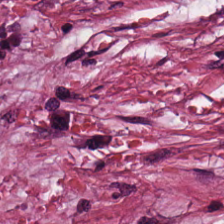Hematoxylin-and-eosin stained section · formalin-fixed paraffin-embedded section.
The predominant tissue is tumor-associated stroma.
